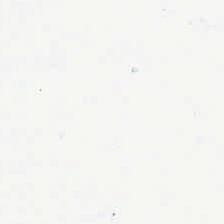Hematoxylin-and-eosin stained section. Q: Classify this patch.
A: Empty background.
